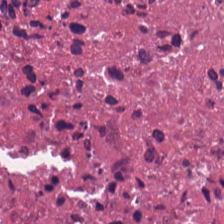Q: What is shown in this field?
A: This is debris.
